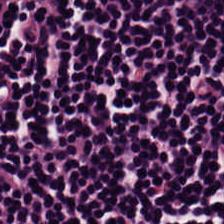FFPE. H&E-stained tissue section.
Classification = lymphocytic infiltrate.
